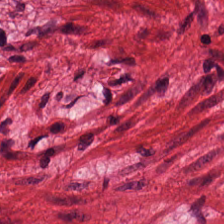Stain: hematoxylin and eosin.
Classification: smooth-muscle tissue.
